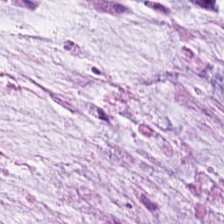H&E-stained tissue section; formalin-fixed paraffin-embedded section; 0.5 µm per pixel.
Tissue = mucus.
